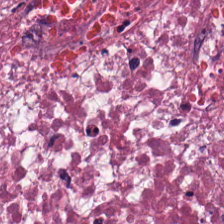H&E — Tissue type = cellular debris.
